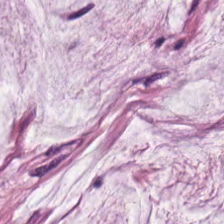Stain: H&E stain.
Classification: mucus.
